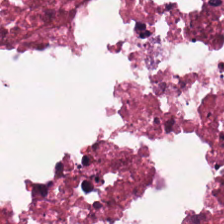Hematoxylin and eosin.
Impression — debris.
